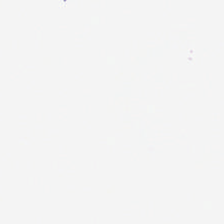Hematoxylin and eosin. FFPE tissue section. Classification: empty background.
